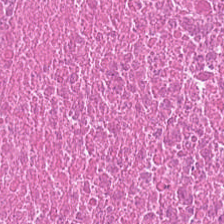H&E-stained tissue section. 224×224 px patch.
Showing necrotic debris.
